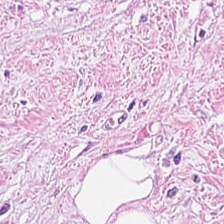Stain: H&E-stained tissue section.
Preparation: FFPE.
Classification: tumor-associated stroma.
